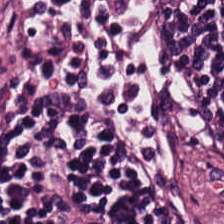Lymphocytes.
